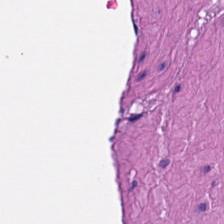H&E. 224×224 pixel tile.
Smooth-muscle tissue.
